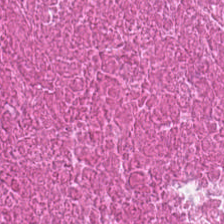H&E-stained tissue section · 0.5 µm per pixel.
The tissue is cellular debris.
